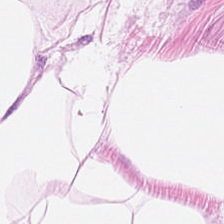The tissue here is adipocytes.
